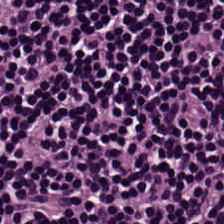Whole-slide-image patch. H&E stain.
Tissue — lymphocyte aggregate.
